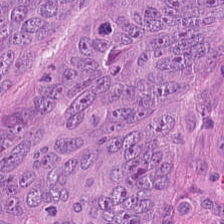Hematoxylin-and-eosin stained section.
Classification = adenocarcinoma.
